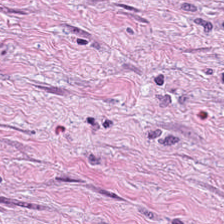This field is desmoplastic stroma.
